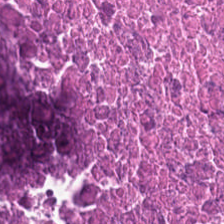H&E-stained tissue section; WSI patch; FFPE — Histology — debris.
